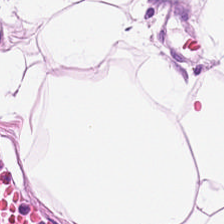Hematoxylin-and-eosin stained section — Tissue type — adipose tissue.
